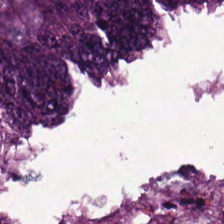Stain: hematoxylin-and-eosin stained section.
Tissue class: malignant epithelium.
